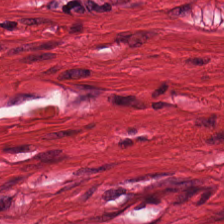H&E stain; 0.5 µm per pixel.
This field is muscularis.
